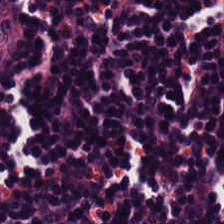Stain: H&E-stained tissue section.
Acquisition: WSI patch.
Predominant tissue: lymphoid infiltrate.
